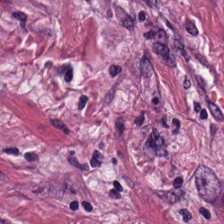Hematoxylin-and-eosin stained section. Q: What tissue type is shown here?
A: This is tumor stroma.
